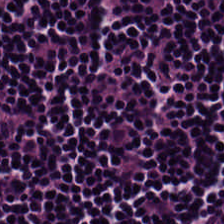H&E-stained tissue section — Histology → lymphoid infiltrate.
